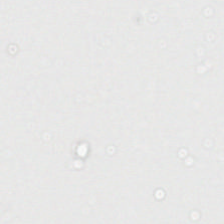H&E-stained tissue section — Empty background.
